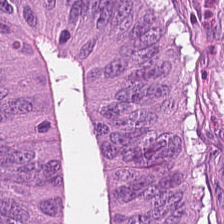H&E stain · 0.5 microns per pixel.
Q: What is shown in this field?
A: The field shows tumor epithelium.
